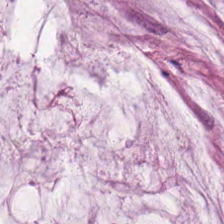Hematoxylin and eosin — The classification is extracellular mucin.
